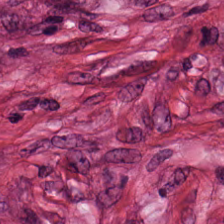H&E stain. Q: What is shown in this field?
A: Tumor stroma.
